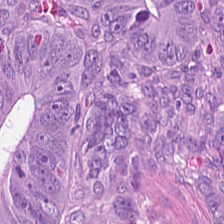224×224 pixel tile. WSI patch. Hematoxylin and eosin — Finding — colorectal adenocarcinoma epithelium.
